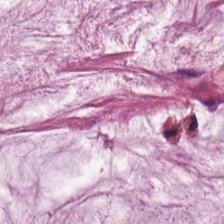Showing mucin.
